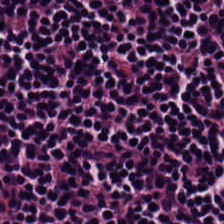Stain: H&E-stained tissue section.
Predominant tissue: lymphocyte aggregate.
